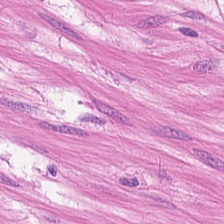Stain: H&E.
Tile size: 224×224 px patch.
Classification: muscularis.
